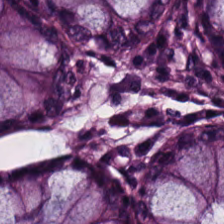Hematoxylin and eosin; 224×224 pixel tile; formalin-fixed paraffin-embedded section.
The classification is normal colon mucosa.
